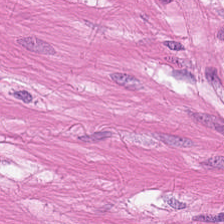Hematoxylin and eosin. Tissue: smooth-muscle tissue.
